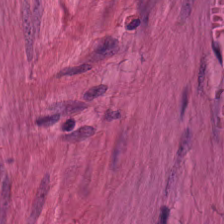224×224 pixel tile · 0.5 µm/px · H&E. Tissue: muscularis.
